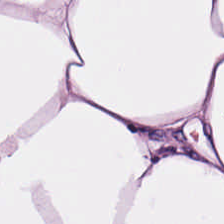H&E-stained tissue section · FFPE · 224×224 px tile.
Classification: fat tissue.
